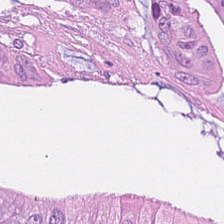FFPE tissue section · WSI patch · H&E. The tissue here is malignant epithelium.
